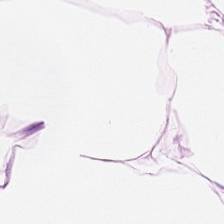H&E-stained tissue section. 0.5 µm per pixel — Adipose tissue.
